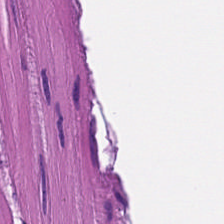Stain: hematoxylin and eosin.
Classification: muscularis.
